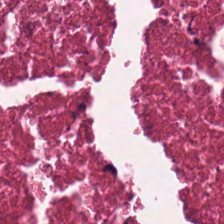Hematoxylin and eosin.
Tissue class — necrotic debris.
